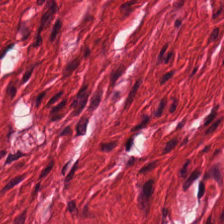H&E-stained section; the field shows muscularis.
